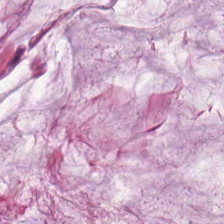Q: What type of tissue is this?
A: It is mucus.
